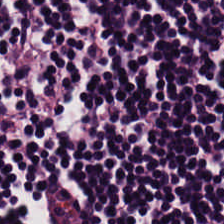Hematoxylin and eosin; FFPE; 0.5 microns per pixel.
This field is lymphocytes.
